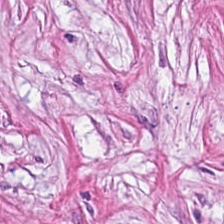H&E stain. This field is tumor-associated stroma.
